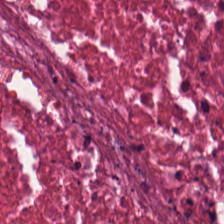Hematoxylin-and-eosin stained section · formalin-fixed paraffin-embedded section. Necrotic debris.
